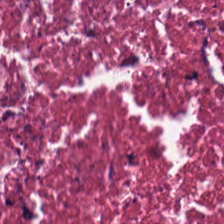Hematoxylin-and-eosin stained section — Classification = necrotic debris.
